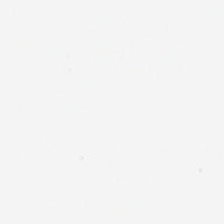Histology — empty background.
